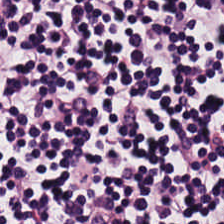H&E stain — This patch shows lymphoid infiltrate.
